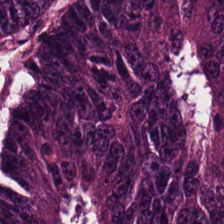H&E-stained tissue section · 224×224 pixel tile — This field is colorectal adenocarcinoma epithelium.
